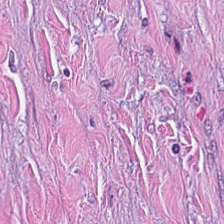WSI patch · H&E — Predominantly desmoplastic stroma.
